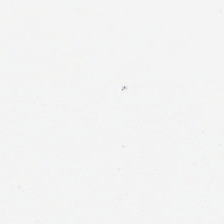H&E — Background — no tissue in this field.
